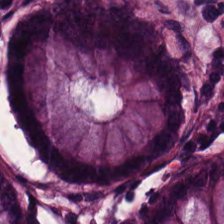FFPE tissue section; 224×224 px patch; hematoxylin and eosin — Classification = benign colonic mucosa.
